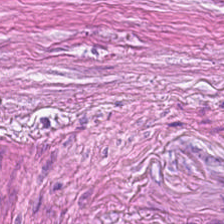Hematoxylin and eosin. This field is tumor-associated stroma.
